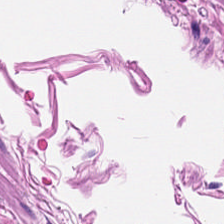WSI patch. H&E stain. 224×224 pixel tile.
Predominantly muscularis.
